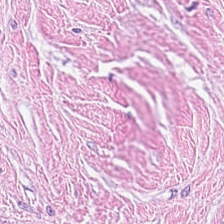This field is desmoplastic stroma.
